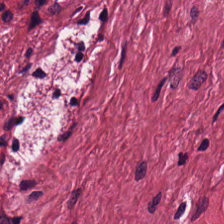H&E-stained tissue section.
This field is tumor-associated stroma.
